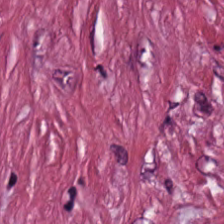Hematoxylin-and-eosin stained section — Q: What type of tissue is this?
A: It is desmoplastic stroma.
